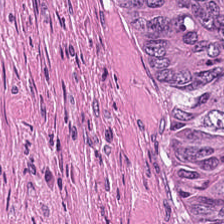Hematoxylin and eosin. 0.5 microns per pixel. 224×224 px patch.
Tissue class — necrotic debris.
